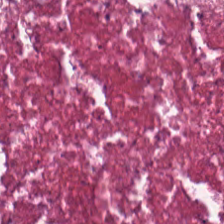Hematoxylin and eosin.
Tissue: necrotic debris.
